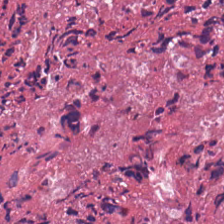Hematoxylin-and-eosin stained section · formalin-fixed paraffin-embedded section — Tissue type = necrotic debris.
